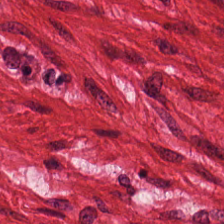Hematoxylin-and-eosin stained section; 0.5 microns per pixel — Classification = muscularis.
